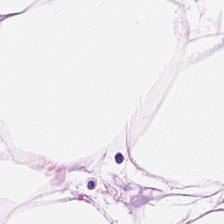H&E-stained tissue section; FFPE; 0.5 µm per pixel — Tissue class — adipocytes.
